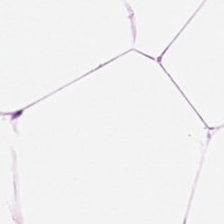H&E stain · WSI patch · formalin-fixed paraffin-embedded section. Q: What tissue type is shown here?
A: It is fat tissue.
